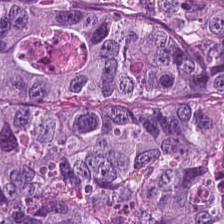H&E-stained tissue section. 0.5 µm/px. Histology — colorectal adenocarcinoma epithelium.
